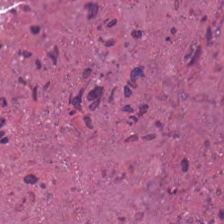H&E. Impression → cellular debris.
